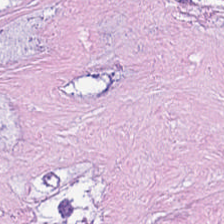Hematoxylin-and-eosin stained section.
The tissue here is cellular debris.
